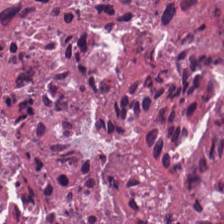FFPE tissue section · H&E · 20× equivalent magnification. The tissue here is debris.
